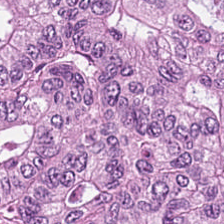H&E. 0.5 µm/px. FFPE — Histology — colorectal adenocarcinoma.
